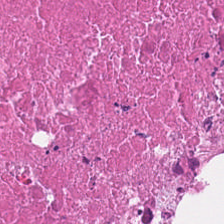Hematoxylin and eosin.
The predominant tissue is cellular debris.
